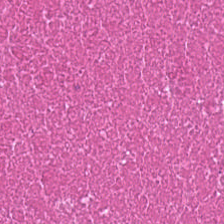H&E stain. FFPE.
Predominant tissue: cellular debris.
